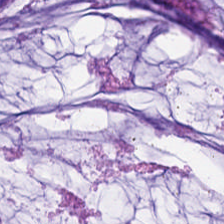FFPE tissue section. Hematoxylin and eosin.
{"tissue_type": "mucus"}
